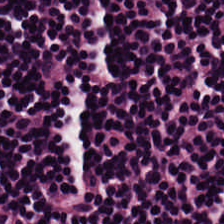Q: What is shown in this field?
A: This is lymphoid infiltrate.
